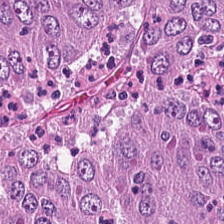Hematoxylin and eosin. 224×224 px tile — Finding → colorectal adenocarcinoma.
